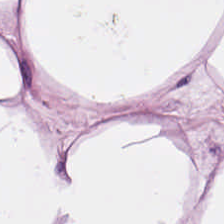224×224 px tile. H&E stain — This field is adipocytes.
